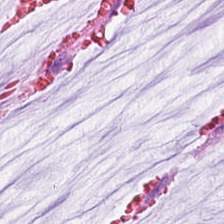Mucus.
